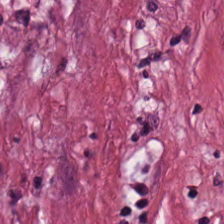H&E-stained tissue section. Impression — tumor-associated stroma.
